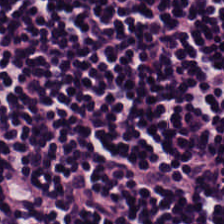H&E stain · brightfield microscopy — This field is lymphoid infiltrate.
